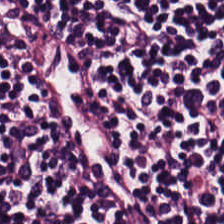Classification — lymphocytic infiltrate.
